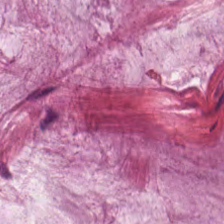WSI patch. H&E stain — Q: What is shown in this field?
A: Mucin.
